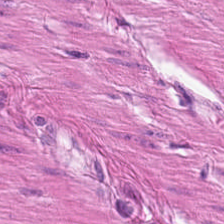Hematoxylin and eosin; FFPE tissue section; brightfield microscopy — Q: What does this patch show?
A: This is smooth-muscle tissue.
